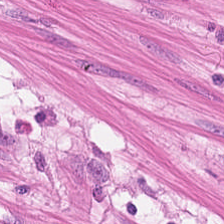H&E-stained tissue section showing smooth muscle.
